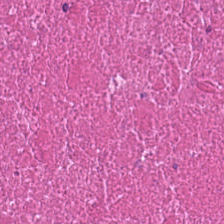H&E stain.
This patch shows necrotic debris.
